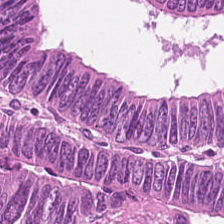H&E stain; 0.5 µm/px; FFPE. Q: What is shown here?
A: This is colorectal adenocarcinoma.
